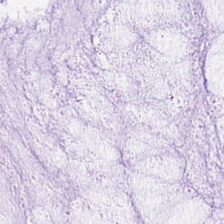H&E — This patch shows mucus.
